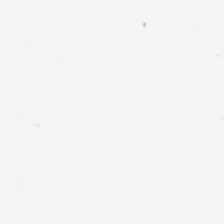20× equivalent magnification · H&E-stained tissue section.
Content — background.
